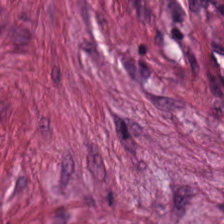224×224 px tile. Hematoxylin-and-eosin stained section. 0.5 µm per pixel — Classification: tumor-associated stroma.
